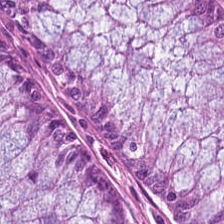Hematoxylin-and-eosin stained section.
Predominantly non-neoplastic colon mucosa.
